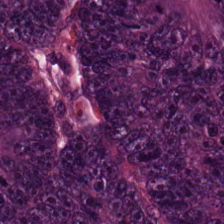H&E-stained tissue section — {"tissue_type": "colorectal adenocarcinoma epithelium"}
